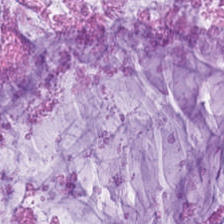Tissue type — mucus.
